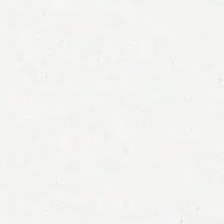Hematoxylin-and-eosin stained section; FFPE tissue section; 20× equivalent magnification.
Classification: background (no tissue).
